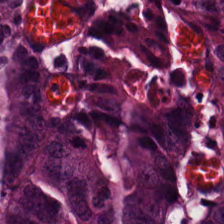Hematoxylin-and-eosin stained section. The predominant tissue is colorectal adenocarcinoma.
